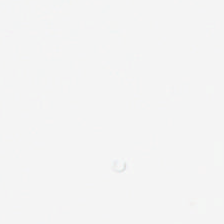This patch shows background (no tissue).
